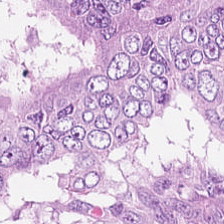H&E · formalin-fixed paraffin-embedded section.
Colorectal adenocarcinoma epithelium.
